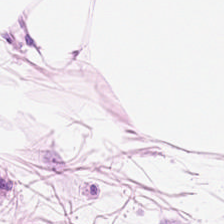{"tissue_type": "adipose"}
